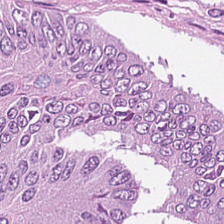H&E; 224×224 px tile — This field is colorectal adenocarcinoma epithelium.
